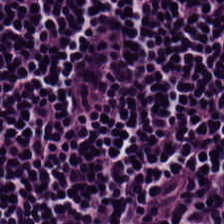Stain: hematoxylin-and-eosin stained section.
Classification: lymphocytes.
